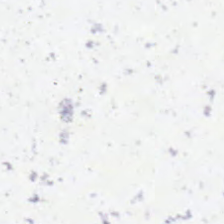H&E stain; brightfield microscopy.
This patch shows no tissue.
